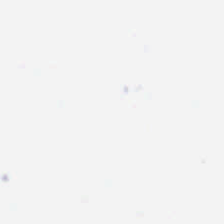Whole-slide-image patch; hematoxylin-and-eosin stained section; FFPE. This patch shows background.
